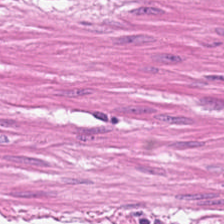Q: What type of tissue is this?
A: It is smooth muscle.
